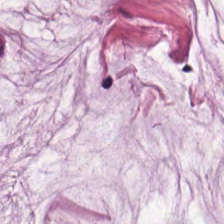Stain: hematoxylin and eosin.
Predominant tissue: mucus.
